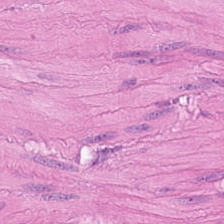Hematoxylin and eosin · whole-slide-image patch — Tissue — smooth-muscle tissue.
